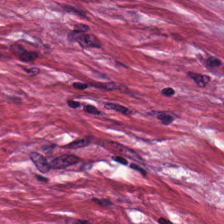Hematoxylin-and-eosin stained section. 20× equivalent magnification. 224×224 pixel tile. Tissue = tumor stroma.
